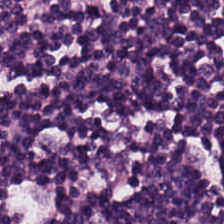FFPE tissue section; hematoxylin-and-eosin stained section; brightfield — Q: What tissue type is shown here?
A: This is lymphocytes.
